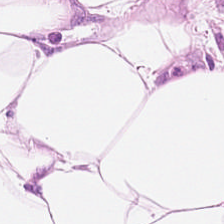WSI patch · hematoxylin-and-eosin stained section.
This patch shows adipocytes.
